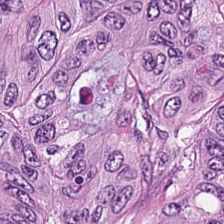H&E-stained tissue section · FFPE tissue section.
Tissue type = adenocarcinoma.
